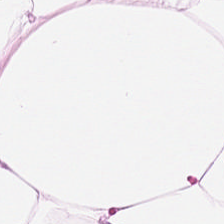0.5 µm/px. Hematoxylin-and-eosin stained section. Formalin-fixed paraffin-embedded section — The predominant tissue is adipose tissue.
